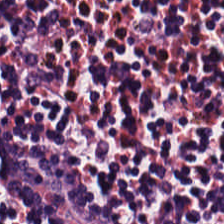H&E. WSI patch. The classification is lymphoid infiltrate.
